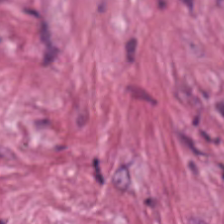Hematoxylin and eosin. Predominantly tumor-associated stroma.
